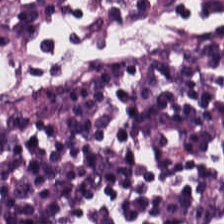H&E-stained tissue section.
The tissue is lymphocyte aggregate.
